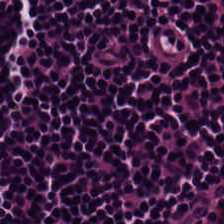The predominant tissue is lymphocytes.
